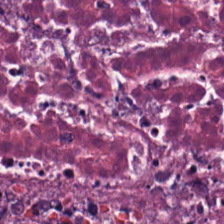Q: What tissue is shown?
A: It is cellular debris.
